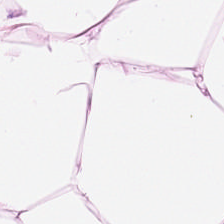Q: Classify this patch.
A: Adipose tissue.
